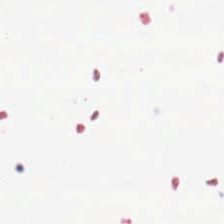Formalin-fixed paraffin-embedded section; hematoxylin and eosin — The content is background.
